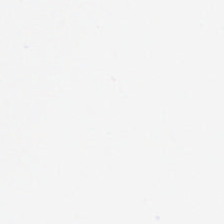Formalin-fixed paraffin-embedded section. H&E. Brightfield — The field content is empty background.
